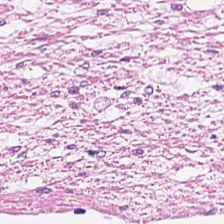H&E — {"tissue_type": "smooth-muscle tissue"}
